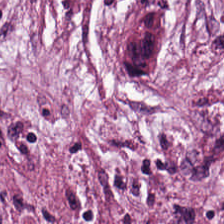224×224 px tile · brightfield · hematoxylin and eosin — Q: What is the predominant tissue type?
A: Cancer-associated stroma.
